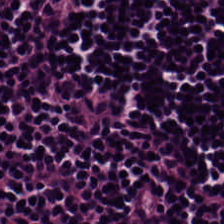H&E · 224×224 px patch. This patch shows lymphocyte aggregate.
